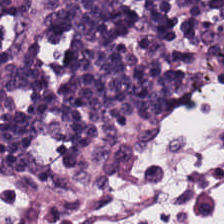H&E-stained tissue section. Predominantly lymphocytic infiltrate.
